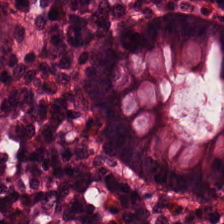H&E stain.
Tissue type — normal colonic mucosa.
